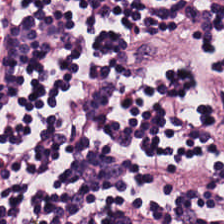H&E-stained tissue section; 0.5 µm per pixel.
Predominant tissue: lymphocyte aggregate.
